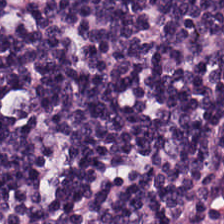0.5 µm/px. Hematoxylin and eosin.
{"tissue_type": "lymphocytes"}
